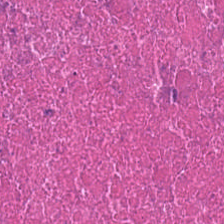0.5 microns per pixel · FFPE tissue section · H&E.
{"tissue_type": "necrotic debris"}
